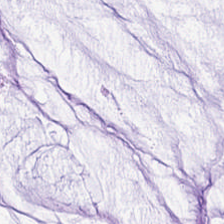Stain: H&E stain.
Tissue class: extracellular mucin.
